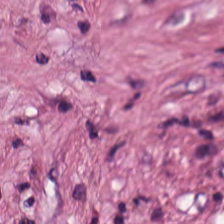WSI patch. Hematoxylin-and-eosin stained section.
Histology — tumor-associated stroma.
